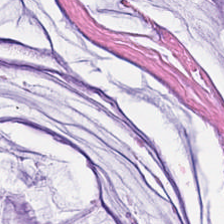H&E-stained tissue section; 0.5 µm/px. The tissue class is extracellular mucin.
